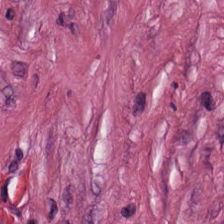224×224 px tile. H&E stain.
This field is tumor stroma.
